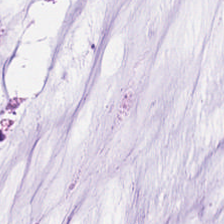Hematoxylin and eosin — Showing extracellular mucin.
